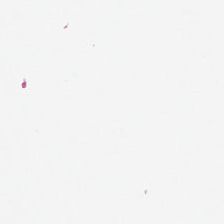Classification: background.
